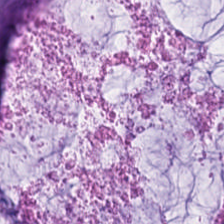FFPE · hematoxylin and eosin · brightfield microscopy. Predominant tissue — mucin.
